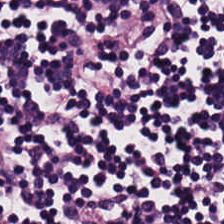H&E-stained tissue section. FFPE tissue section. Whole-slide-image patch. {"tissue_type": "lymphocytic infiltrate"}
